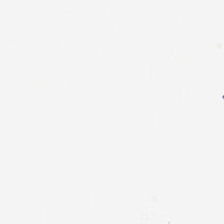H&E stain. Q: What is shown in this field?
A: The field shows empty background.
